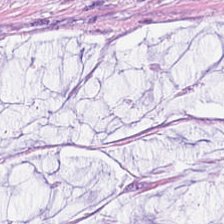Classification = extracellular mucin.
